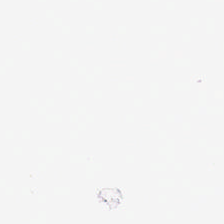Stain: H&E.
Field content: no tissue.
